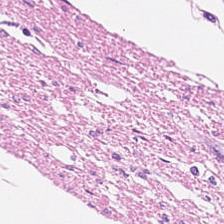Hematoxylin and eosin · 0.5 µm/px · brightfield. The tissue here is smooth muscle.
